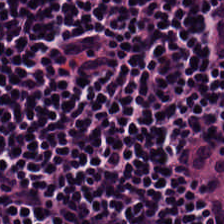This patch shows lymphoid infiltrate.
